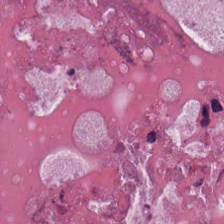Q: What does this patch show?
A: It is necrotic debris.
